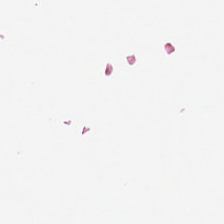H&E-stained tissue section.
Content — background.
